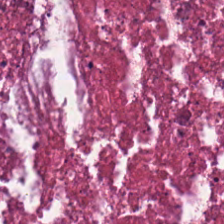H&E. Necrotic debris.
